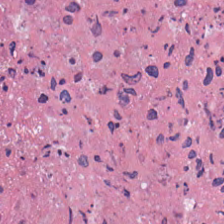Hematoxylin and eosin.
This field is necrotic debris.
